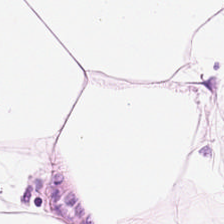Hematoxylin-and-eosin stained section.
{"tissue_type": "adipose tissue"}
